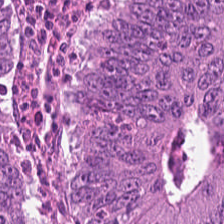Hematoxylin-and-eosin stained section. The tissue is colorectal adenocarcinoma.
